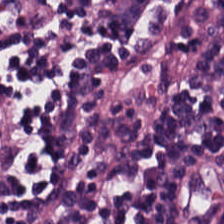H&E-stained tissue section — Predominantly lymphocytes.
